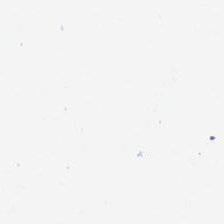This field is background (no tissue).
